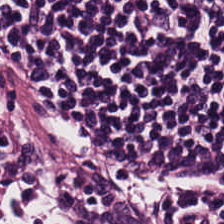Hematoxylin-and-eosin stained section. 224×224 px patch — Lymphocytic infiltrate.
